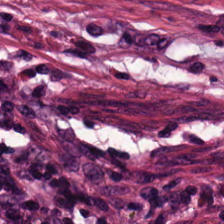The predominant tissue is desmoplastic stroma.
